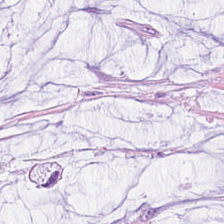Tissue type: mucin.
